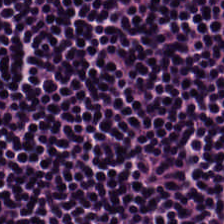H&E-stained tissue section. Q: Classify this patch.
A: Lymphocyte aggregate.
